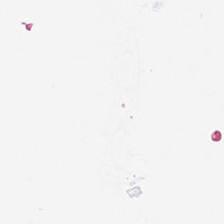Classification = background (no tissue).
